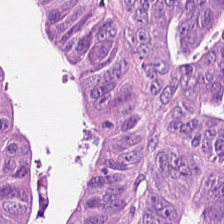20× equivalent magnification. H&E-stained tissue section — Tissue class = colorectal adenocarcinoma epithelium.
